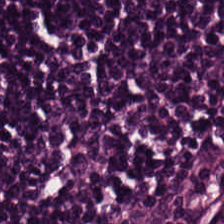Q: What tissue is shown?
A: It is lymphoid infiltrate.
